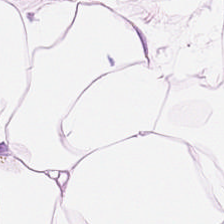Hematoxylin and eosin — This patch shows fat tissue.
